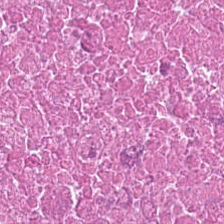Hematoxylin and eosin. The predominant tissue is cellular debris.
